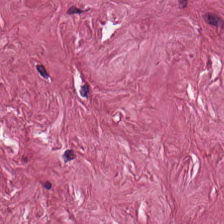H&E — Predominant tissue: desmoplastic stroma.
